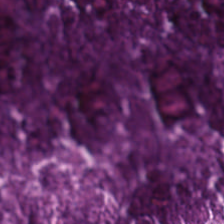Hematoxylin-and-eosin section: necrotic debris.
